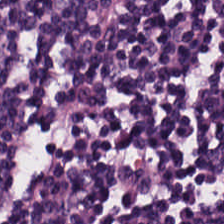Tissue type — lymphocytic infiltrate.
